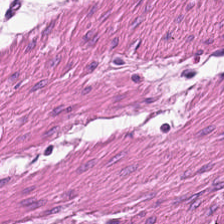H&E-stained tissue section; 0.5 µm per pixel; brightfield microscopy.
Muscularis.
